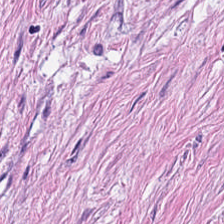0.5 µm/px. H&E-stained tissue section.
This field is muscularis.
